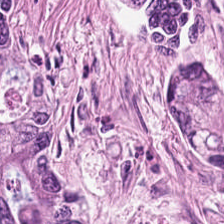H&E-stained tissue section · 224×224 pixel tile. Showing adenocarcinoma.
